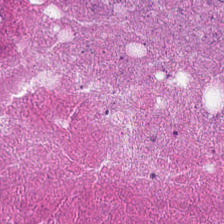H&E — This patch shows necrotic debris.
